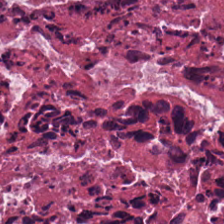Q: Classify this patch.
A: Necrotic debris.
